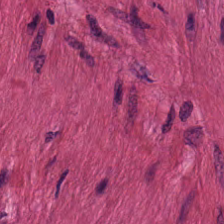FFPE · H&E stain. Showing smooth muscle.
